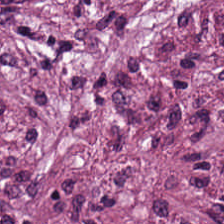Tissue: cancer-associated stroma.
